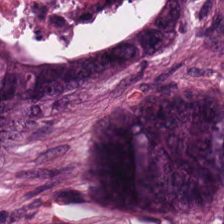Hematoxylin and eosin.
Finding — colorectal adenocarcinoma.
